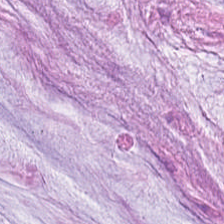H&E. Q: What is the predominant tissue type?
A: The field shows extracellular mucin.
